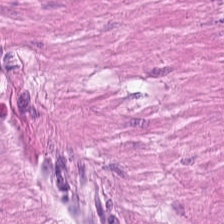Predominantly smooth muscle.
